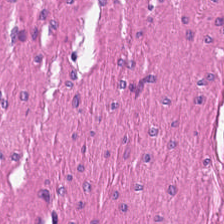H&E.
The predominant tissue is smooth muscle.
